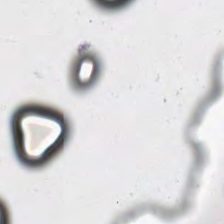20× equivalent magnification · brightfield microscopy · hematoxylin and eosin. Impression → background (no tissue).
